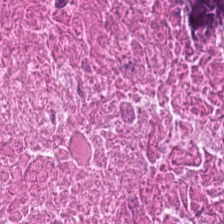H&E-stained tissue section; 0.5 microns per pixel.
Q: Classify this patch.
A: This is debris.
